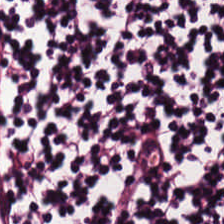Hematoxylin-and-eosin stained section. Histology → lymphocytic infiltrate.
